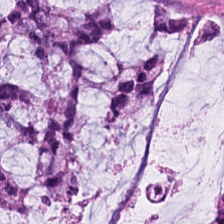H&E-stained tissue section.
Predominantly mucin.
